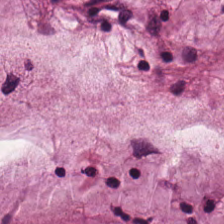Hematoxylin and eosin · 224×224 pixel tile. Classification = mucin.
